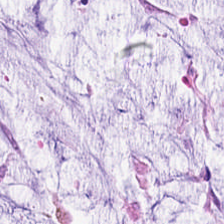Hematoxylin-and-eosin stained section — Impression → mucus.
